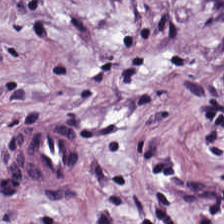Formalin-fixed paraffin-embedded section. Hematoxylin and eosin. 20× equivalent magnification — Classification: tumor stroma.
